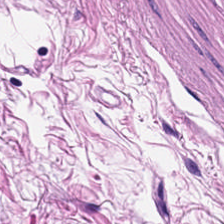Tissue class = smooth muscle.
